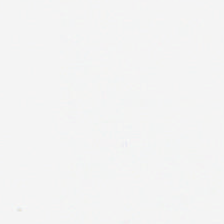H&E stain. The classification is empty background.
